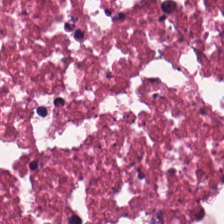Tissue — cellular debris.
